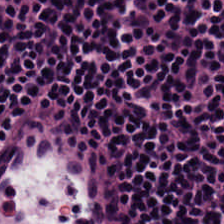H&E-stained tissue section showing lymphocytic infiltrate.
